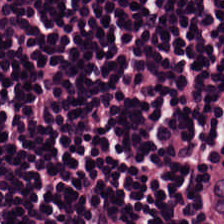224×224 px patch · whole-slide-image patch · hematoxylin and eosin.
Q: What tissue is shown?
A: The field shows lymphocytes.
